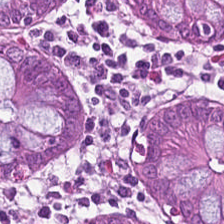224×224 px patch. Hematoxylin-and-eosin stained section — {"tissue_type": "benign colonic mucosa"}
